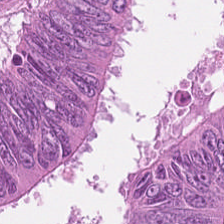Hematoxylin-and-eosin stained section. Brightfield microscopy — Malignant epithelium.
